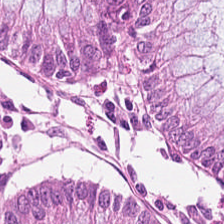Brightfield microscopy. 224×224 pixel tile. Hematoxylin and eosin. This patch shows benign colonic mucosa.
